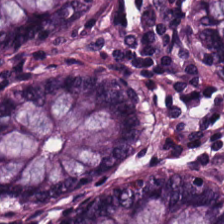FFPE tissue section; H&E stain; 224×224 pixel tile.
Tissue class = normal colon mucosa.
